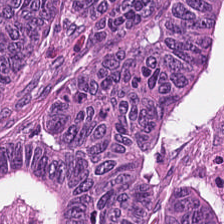H&E — Q: What type of tissue is this?
A: The field shows malignant epithelium.
